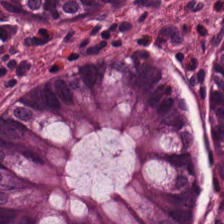FFPE tissue section; whole-slide-image patch; hematoxylin-and-eosin stained section — Non-neoplastic colon mucosa.
